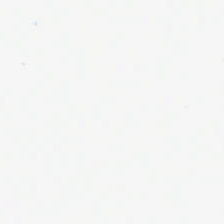Stain: H&E.
Classification: background.
